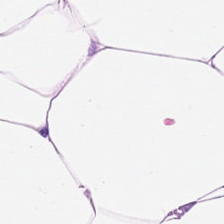Hematoxylin and eosin · FFPE — Predominant tissue: adipose.
